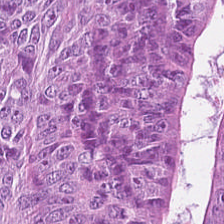Stain: H&E.
Tissue type: tumor epithelium.
